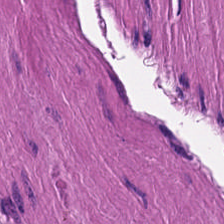Stain: hematoxylin and eosin.
Predominant tissue: smooth-muscle tissue.
